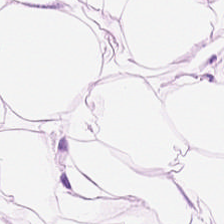Stain: hematoxylin and eosin.
Resolution: 20× equivalent magnification.
Tissue class: adipocytes.
